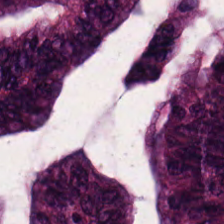H&E-stained tissue section. {"tissue_type": "adenocarcinoma"}
